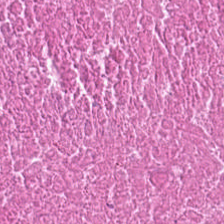224×224 px tile; brightfield microscopy; H&E.
Tissue class = necrotic debris.
